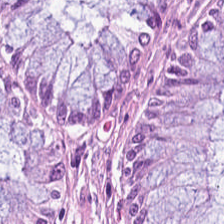Tissue — normal colonic mucosa.
